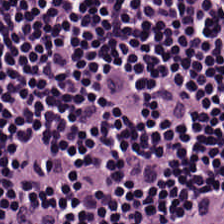Q: What is the predominant tissue type?
A: This is lymphocytes.
